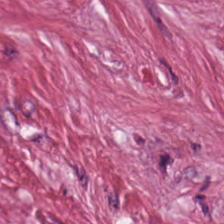Hematoxylin-and-eosin stained section. Q: Identify the tissue.
A: This is tumor-associated stroma.
